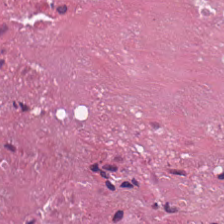Classification — cellular debris.
